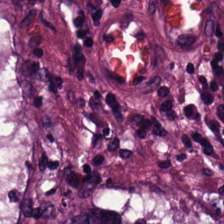224×224 pixel tile · brightfield · hematoxylin-and-eosin stained section.
Showing colorectal adenocarcinoma.
